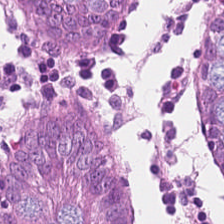FFPE tissue section. 224×224 px tile. H&E-stained tissue section. Classification — non-neoplastic colon mucosa.
